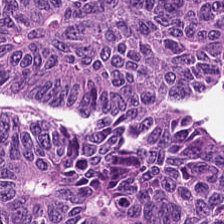H&E stain. Q: What is shown here?
A: This is adenocarcinoma.
